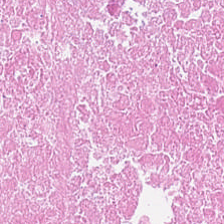H&E — The tissue class is cellular debris.
